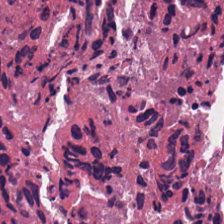Finding → necrotic debris.
